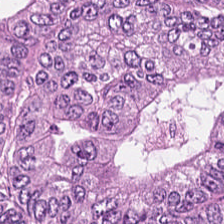Predominantly adenocarcinoma.
